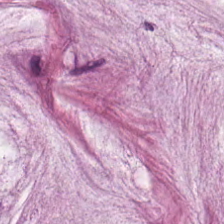Tissue type — mucin.
